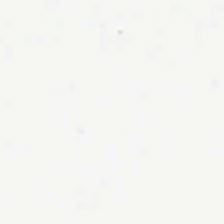Hematoxylin-and-eosin stained section — Field content — empty background.
